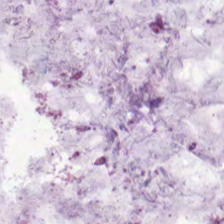H&E-stained tissue section. Q: Identify the tissue.
A: This is extracellular mucin.
